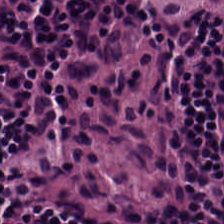Stain: H&E-stained tissue section.
Tissue class: lymphocytes.
